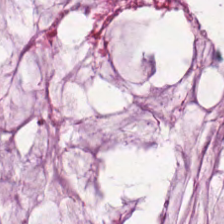Tissue: mucus.
